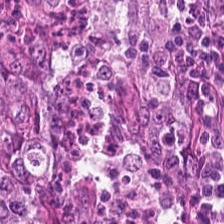Hematoxylin-and-eosin stained section. The tissue type is malignant epithelium.
